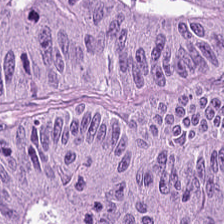This patch shows colorectal adenocarcinoma epithelium.
